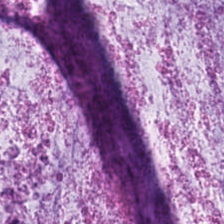224×224 pixel tile · H&E — The tissue class is mucin.
